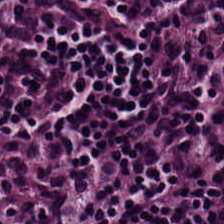Hematoxylin-and-eosin stained section · FFPE. Impression — lymphocytes.
